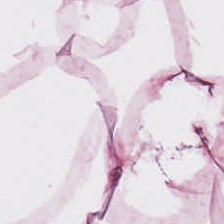Stain: hematoxylin-and-eosin stained section.
Tissue type: adipose.
